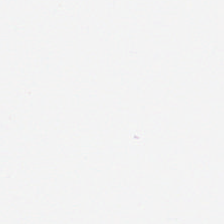Hematoxylin-and-eosin stained section.
Q: What is shown in this field?
A: Empty background.
